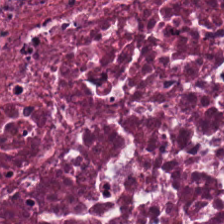H&E — Histology → debris.
